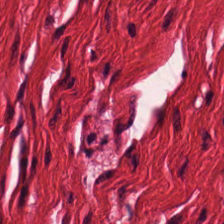WSI patch. 20× equivalent magnification. H&E-stained tissue section — The predominant tissue is smooth muscle.
